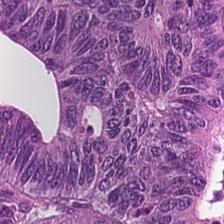This patch shows adenocarcinoma.
